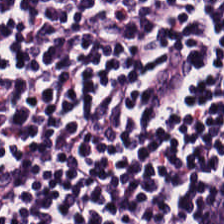Tissue type = lymphoid infiltrate.
